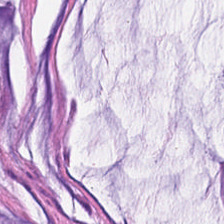0.5 µm/px. FFPE tissue section. H&E. The tissue class is mucus.
